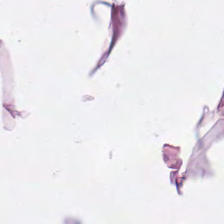224×224 px patch. Formalin-fixed paraffin-embedded section. Hematoxylin-and-eosin stained section — Tissue type = adipose.
